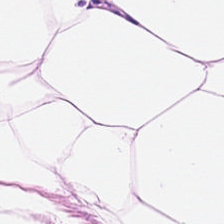0.5 microns per pixel. Hematoxylin-and-eosin stained section. Brightfield — Predominantly adipose tissue.
